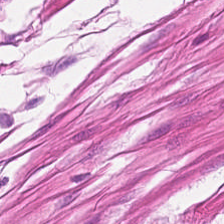Q: What is shown here?
A: It is smooth-muscle tissue.
